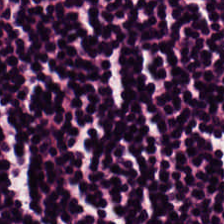H&E-stained tissue section showing lymphocytes.
